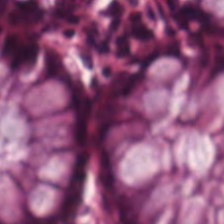Hematoxylin-and-eosin stained section; 0.5 µm per pixel. Histology — non-neoplastic colon mucosa.
